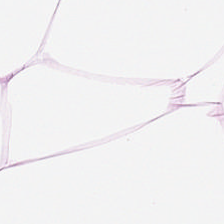Whole-slide-image patch. H&E stain. 224×224 px patch — Predominant tissue — adipose.
